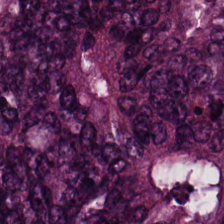FFPE. H&E. Whole-slide-image patch.
Q: Identify the tissue.
A: It is malignant epithelium.
